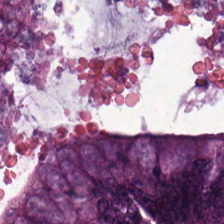FFPE. 224×224 px patch. H&E.
Q: Identify the tissue.
A: It is colorectal adenocarcinoma epithelium.
